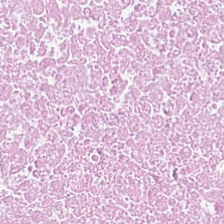Stain: H&E.
Tissue: cellular debris.
